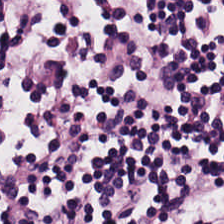H&E · formalin-fixed paraffin-embedded section — Predominant tissue = lymphocytes.
